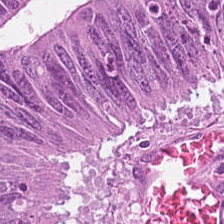WSI patch; H&E.
The predominant tissue is tumor epithelium.
